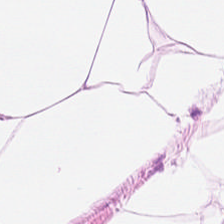Formalin-fixed paraffin-embedded section. Hematoxylin-and-eosin stained section. Finding — adipocytes.
